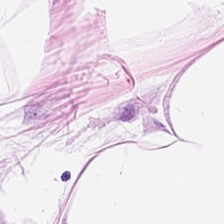Brightfield microscopy. H&E stain. 0.5 microns per pixel — {"tissue_type": "adipose"}
